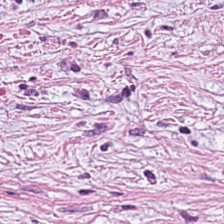H&E stain; FFPE tissue section; 224×224 px tile. The tissue is cancer-associated stroma.
